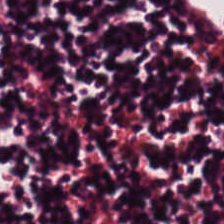H&E-stained tissue section. The tissue here is lymphocyte aggregate.
